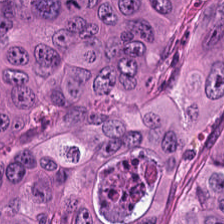H&E stain.
Classification: adenocarcinoma.
